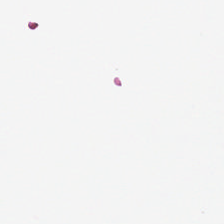Stain: hematoxylin-and-eosin stained section.
Preparation: formalin-fixed paraffin-embedded section.
Resolution: 0.5 microns per pixel.
Classification: background.
